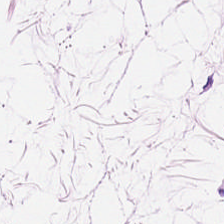20× equivalent magnification. Brightfield. H&E-stained tissue section. {"tissue_type": "adipose"}
